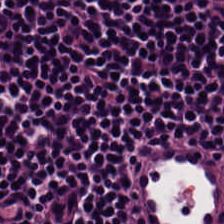H&E; formalin-fixed paraffin-embedded section — Showing lymphoid infiltrate.
